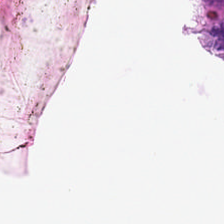Stain: H&E stain.
Resolution: 0.5 µm per pixel.
Field content: background.
